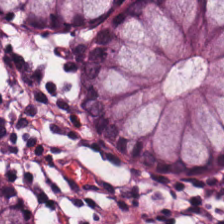H&E-stained tissue section. Non-neoplastic colon mucosa.
